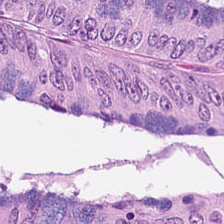0.5 µm per pixel; brightfield microscopy; H&E stain.
This patch shows tumor epithelium.
